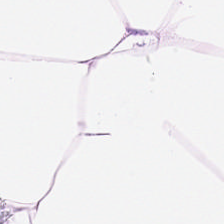H&E patch showing fat tissue.
